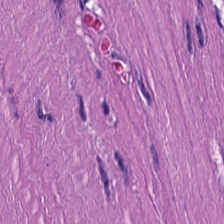H&E. Formalin-fixed paraffin-embedded section.
This patch shows muscularis.
